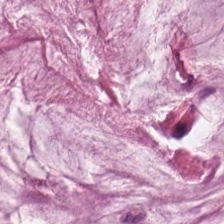FFPE. 224×224 px tile. H&E stain.
Showing mucus.
